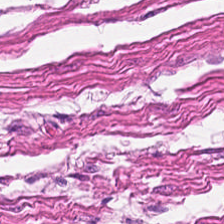Stain: H&E stain.
Tissue type: smooth-muscle tissue.
